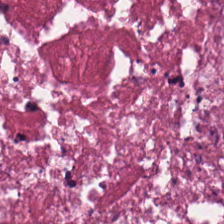224×224 px patch; H&E stain.
The tissue here is necrotic debris.
